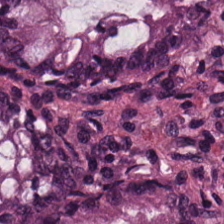20× equivalent magnification; H&E — Impression — non-neoplastic colon mucosa.
